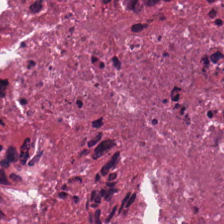Hematoxylin and eosin. The tissue here is necrotic debris.
